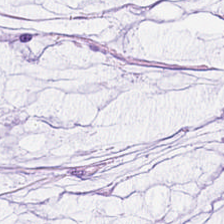Formalin-fixed paraffin-embedded section · hematoxylin-and-eosin stained section · brightfield.
The tissue here is extracellular mucin.
